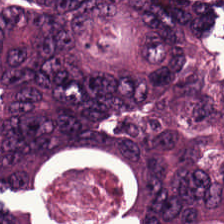H&E-stained tissue section showing adenocarcinoma.
